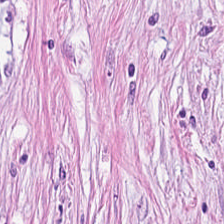H&E · 224×224 px patch.
This patch shows cancer-associated stroma.
